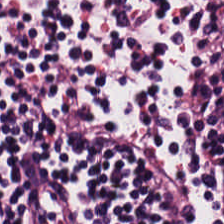Predominant tissue = lymphocyte aggregate.
